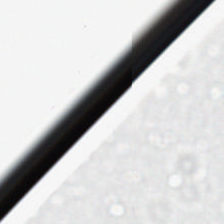20× equivalent magnification · H&E stain — Histology — background.
